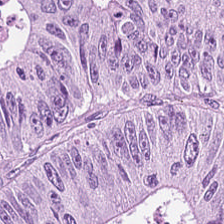Hematoxylin-and-eosin stained section — Classification: colorectal adenocarcinoma.
